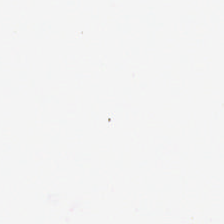H&E-stained tissue section · brightfield microscopy. Q: What is shown here?
A: It is empty background.
